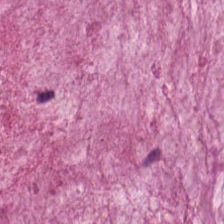Finding → mucus.
